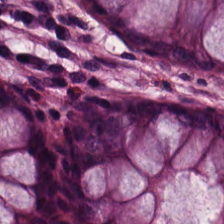Hematoxylin-and-eosin stained section · 224×224 px patch.
Classification: benign colonic mucosa.
